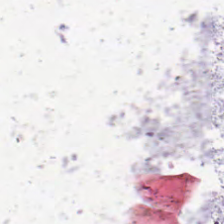{"content": "background"}
